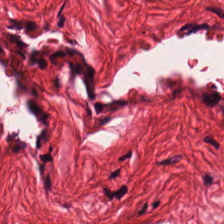H&E-stained tissue section — Smooth muscle.
